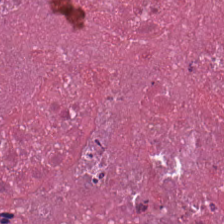H&E-stained tissue section. 20× equivalent magnification — {"tissue_type": "necrotic debris"}
